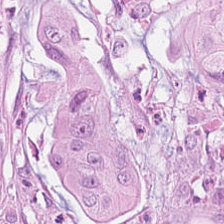Hematoxylin and eosin; 224×224 px patch — Q: What does this patch show?
A: Adenocarcinoma.
